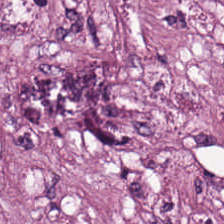Stain: H&E-stained tissue section.
Tissue: tumor stroma.
